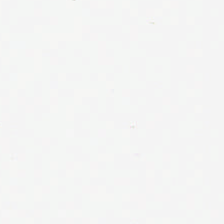Background — no tissue in this field.
